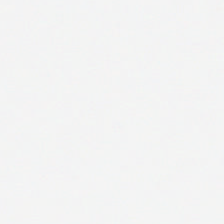Background — no tissue in this field.
